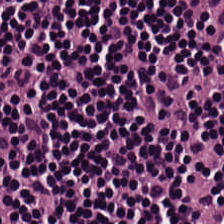Hematoxylin-and-eosin stained section — Showing lymphocytes.
